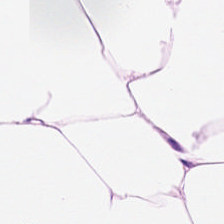H&E-stained tissue section; brightfield; 0.5 microns per pixel — Impression — adipose tissue.
